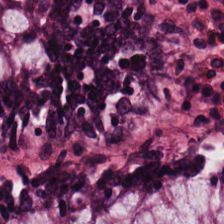H&E stain; 224×224 px tile.
Showing benign colonic mucosa.
